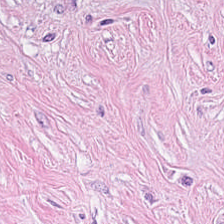FFPE tissue section · H&E-stained tissue section. This field is tumor stroma.
